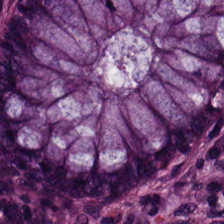224×224 px patch; H&E. The predominant tissue is non-neoplastic colon mucosa.
